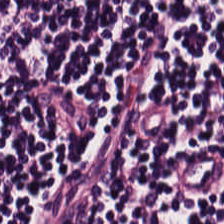Q: What type of tissue is this?
A: Lymphocytic infiltrate.
